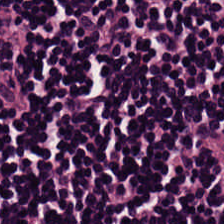H&E. Finding — lymphocyte aggregate.
